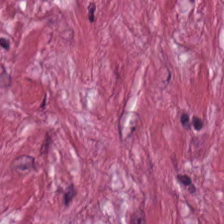Hematoxylin and eosin. Tissue class — desmoplastic stroma.
